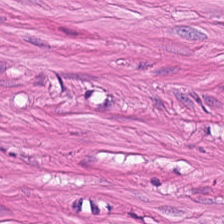H&E — Tissue class: smooth muscle.
